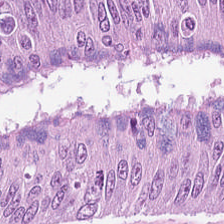H&E. Tissue type — colorectal adenocarcinoma.
